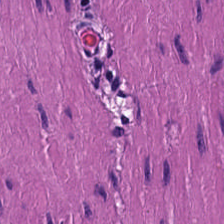The tissue class is smooth-muscle tissue.
